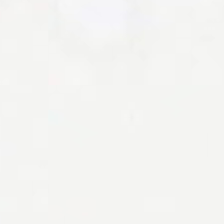Hematoxylin and eosin. Background — no tissue in this field.
